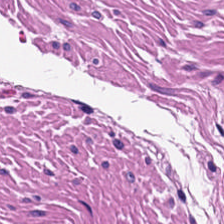H&E-stained tissue section. This patch shows smooth muscle.
